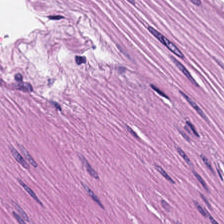Hematoxylin and eosin; formalin-fixed paraffin-embedded section — Q: What does this patch show?
A: Muscularis.
